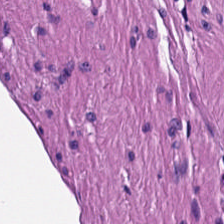FFPE. 20× equivalent magnification. H&E-stained tissue section — Showing smooth muscle.
